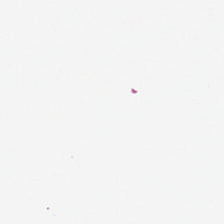H&E-stained tissue section · 224×224 px tile — Empty field — empty background.
